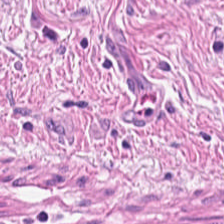H&E-stained tissue section. FFPE tissue section — Classification — smooth muscle.
